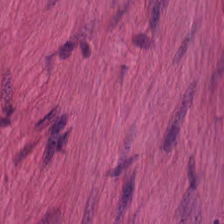0.5 µm/px; H&E stain; FFPE.
The predominant tissue is muscularis.
